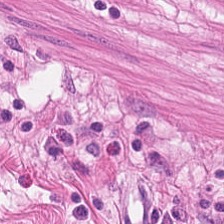H&E-stained tissue section. Muscularis.
